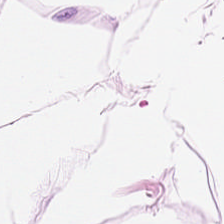H&E — This patch shows fat tissue.
